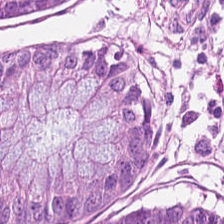H&E-stained tissue section. 224×224 pixel tile. FFPE tissue section.
The tissue type is normal colonic mucosa.
